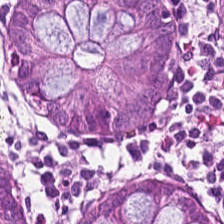224×224 px patch. Hematoxylin-and-eosin stained section.
Showing normal colonic mucosa.
